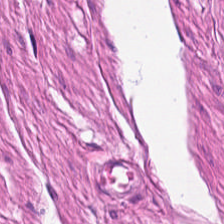The tissue here is muscularis.
